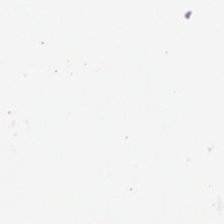20× equivalent magnification; H&E stain — Q: What is shown in this field?
A: The field shows empty background.
